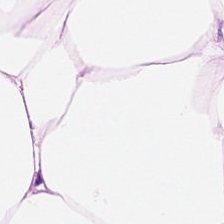Hematoxylin-and-eosin stained section.
{"tissue_type": "adipose tissue"}
